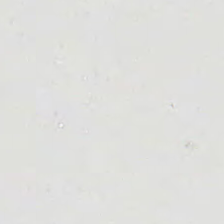Hematoxylin-and-eosin stained section — No tissue.
